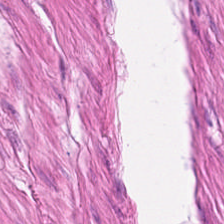Tissue: muscularis.
